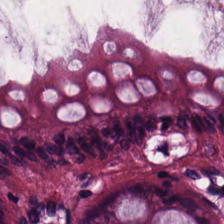Brightfield microscopy · hematoxylin and eosin · 224×224 px patch.
Q: Classify this patch.
A: The field shows non-neoplastic colon mucosa.
